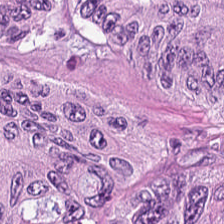Hematoxylin-and-eosin stained section. WSI patch. FFPE. The predominant tissue is adenocarcinoma.
